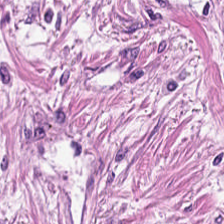Hematoxylin-and-eosin stained section. Formalin-fixed paraffin-embedded section.
Tumor stroma.
